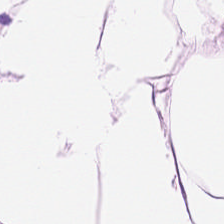Stain: H&E stain.
Predominant tissue: adipose.
